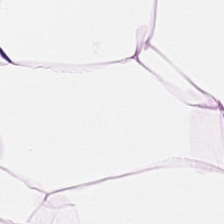H&E — adipose tissue.
